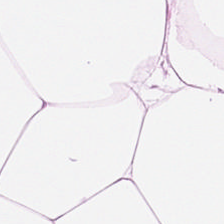Showing adipose tissue.
